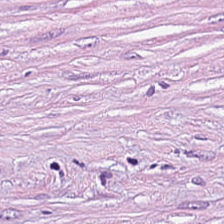WSI patch · 224×224 px patch · H&E. This field is tumor stroma.
